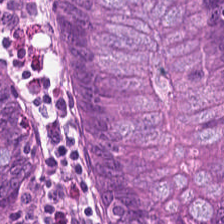Hematoxylin-and-eosin section: benign colonic mucosa.
